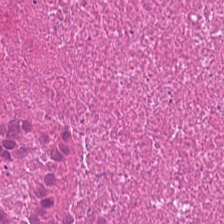Hematoxylin-and-eosin stained section.
Predominant tissue — cellular debris.
